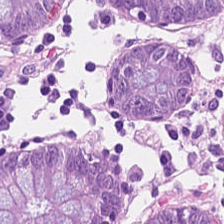Predominant tissue — normal colon mucosa.
